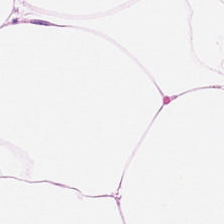This patch shows adipose tissue.
